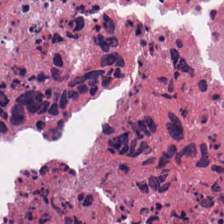Hematoxylin-and-eosin stained section; 224×224 px tile. Predominant tissue = debris.
